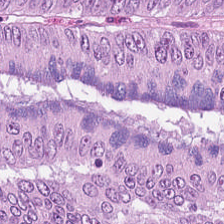Whole-slide-image patch; 0.5 µm per pixel; H&E stain. Impression → tumor epithelium.
